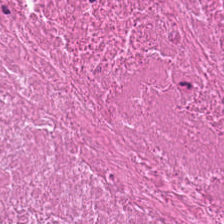H&E stain.
Histology → cellular debris.
